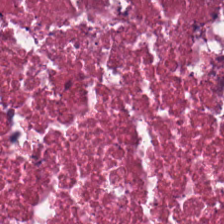H&E — {"tissue_type": "debris"}
